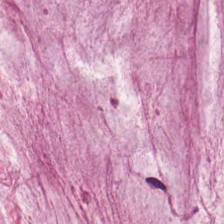H&E stain. 20× equivalent magnification. Predominant tissue = mucin.
